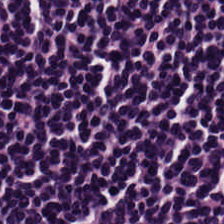H&E-stained tissue section. Tissue class: lymphocytic infiltrate.
